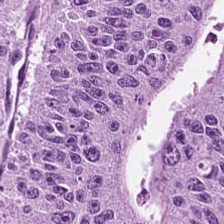Hematoxylin-and-eosin stained section. Finding → malignant epithelium.
